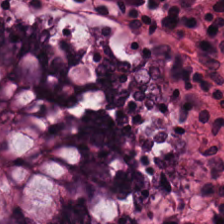H&E-stained tissue section · brightfield.
The predominant tissue is benign colonic mucosa.
